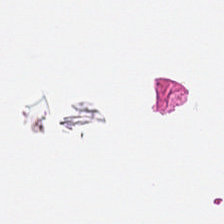H&E.
Classification — background (no tissue).
